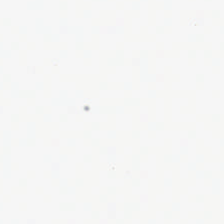224×224 px patch. Hematoxylin-and-eosin stained section — {"content": "background (no tissue)"}
